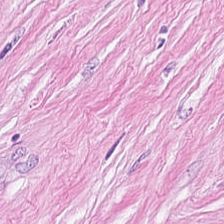H&E; 0.5 µm/px; WSI patch.
Q: What tissue type is shown here?
A: It is tumor stroma.
